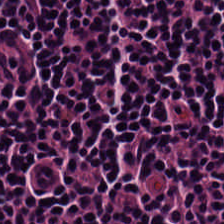Predominantly lymphocyte aggregate.
